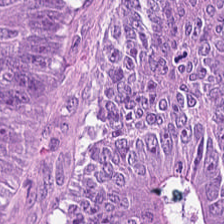Hematoxylin-and-eosin stained section — Histology → malignant epithelium.
